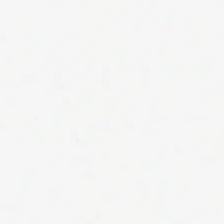H&E stain — Q: What is shown in this field?
A: Background (no tissue).
